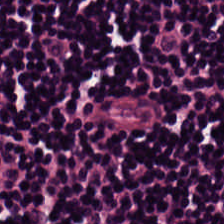FFPE tissue section. Hematoxylin and eosin. Lymphocytic infiltrate.
